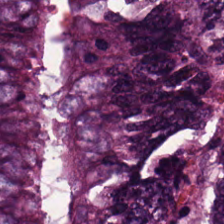This patch shows colorectal adenocarcinoma epithelium.
